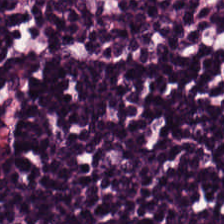H&E stain — This field is lymphocytic infiltrate.
